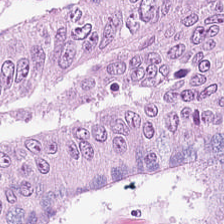Q: What is shown in this field?
A: The field shows adenocarcinoma.
